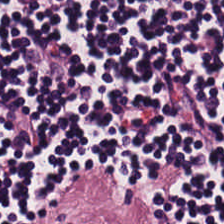Hematoxylin and eosin — Q: What is shown here?
A: This is lymphoid infiltrate.
